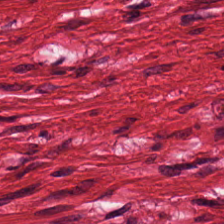Hematoxylin-and-eosin stained section · 224×224 pixel tile.
The tissue here is smooth muscle.
